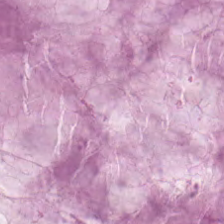H&E — {"tissue_type": "mucus"}
